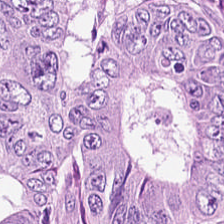224×224 px tile · H&E-stained tissue section — Predominantly adenocarcinoma.
